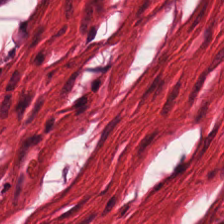The classification is smooth muscle.
